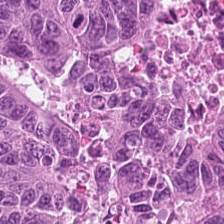H&E stain.
Tissue = adenocarcinoma.
